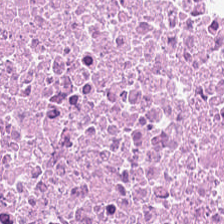FFPE tissue section · H&E. The tissue here is necrotic debris.
